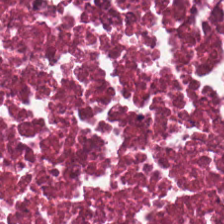FFPE tissue section · H&E · 0.5 microns per pixel — The predominant tissue is debris.
